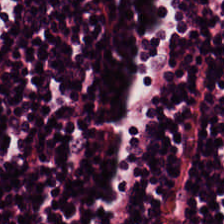0.5 microns per pixel. H&E stain. The predominant tissue is lymphocytes.
